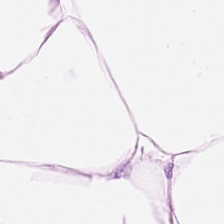Tissue class — fat tissue.
